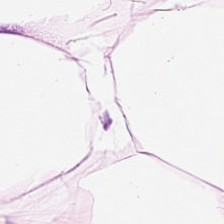H&E — Impression — adipocytes.
